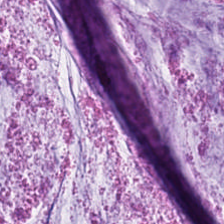Hematoxylin-and-eosin stained section — Tissue = mucus.
